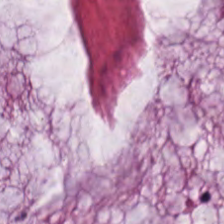Impression → mucin.
